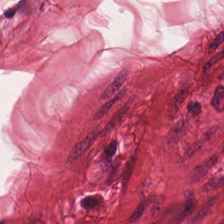Hematoxylin and eosin.
This patch shows smooth-muscle tissue.
